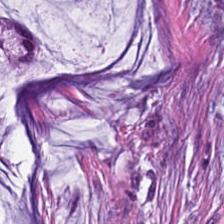FFPE tissue section; 224×224 px tile; H&E-stained tissue section. Tissue type: extracellular mucin.
